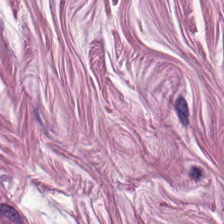H&E — Tissue class — smooth-muscle tissue.
